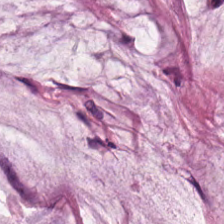Hematoxylin-and-eosin stained section. Histology → mucus.
